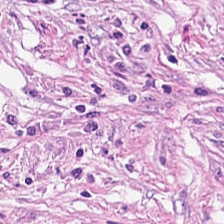Tissue: desmoplastic stroma.
